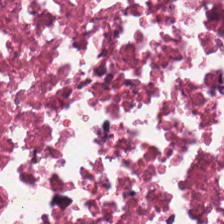H&E-stained tissue section · 224×224 pixel tile. Debris.
